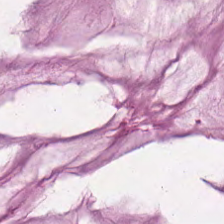H&E-stained tissue section · formalin-fixed paraffin-embedded section · brightfield. Q: What type of tissue is this?
A: The field shows mucin.
